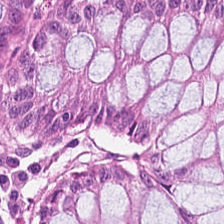20× equivalent magnification. H&E-stained tissue section.
Non-neoplastic colon mucosa.
